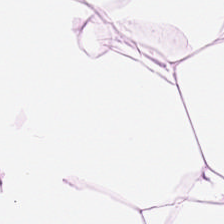Hematoxylin-and-eosin section: adipose.
